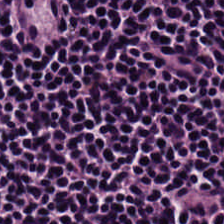Lymphoid infiltrate.
